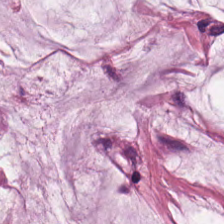Brightfield. 224×224 pixel tile. H&E — The predominant tissue is extracellular mucin.
